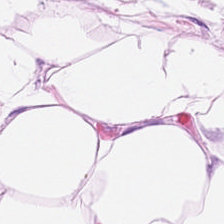FFPE; H&E-stained tissue section; 224×224 pixel tile.
The predominant tissue is adipose.
